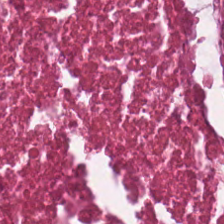H&E stain — The predominant tissue is cellular debris.
